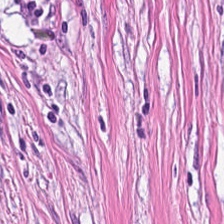Hematoxylin and eosin — Q: What is shown here?
A: Tumor-associated stroma.
